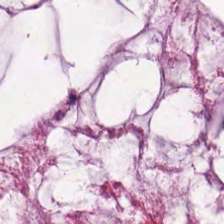H&E stain. Histology → mucin.
